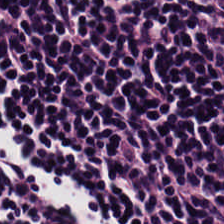H&E-stained tissue section. FFPE tissue section. 20× equivalent magnification — The predominant tissue is lymphocytes.
